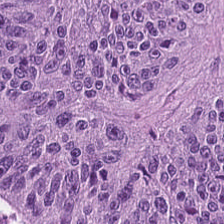224×224 px patch; H&E stain — Tissue class: malignant epithelium.
